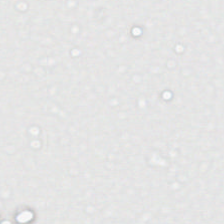Hematoxylin and eosin.
Field content: no tissue.
